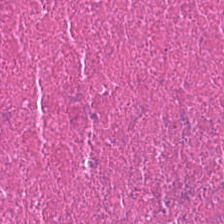224×224 pixel tile; H&E; FFPE tissue section. Predominant tissue = necrotic debris.
